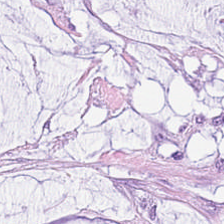{"tissue_type": "mucin"}
